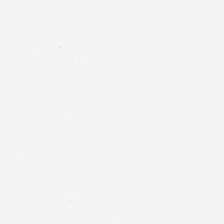Hematoxylin-and-eosin stained section — Impression → background (no tissue).
